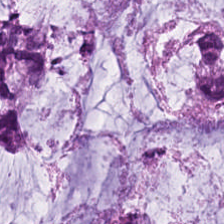H&E-stained tissue section — Predominant tissue — mucin.
